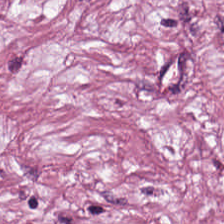Stain: hematoxylin and eosin.
Preparation: FFPE.
Tissue type: cancer-associated stroma.
